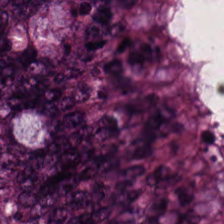224×224 px patch; H&E; whole-slide-image patch. Tissue: adenocarcinoma.
